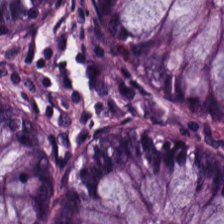Q: What type of tissue is this?
A: It is normal colon mucosa.
